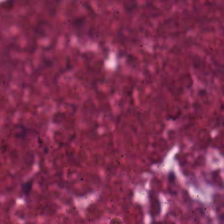H&E stain.
{"tissue_type": "debris"}
